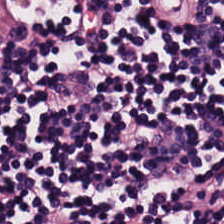Hematoxylin and eosin — Impression → lymphocytes.
